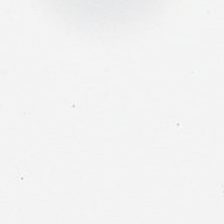Field content = background (no tissue).
